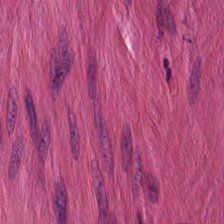The predominant tissue is muscularis.
